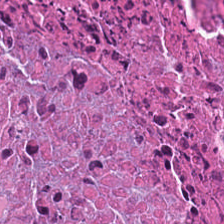Q: What tissue is shown?
A: It is debris.
